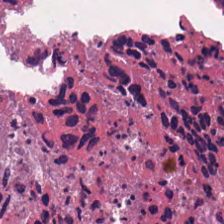The predominant tissue is cellular debris.
